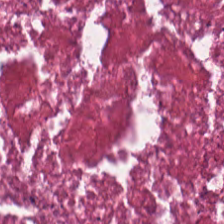H&E stain. 224×224 px patch — The tissue here is debris.
